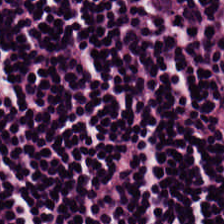Hematoxylin and eosin — Q: Identify the tissue.
A: It is lymphocytes.
